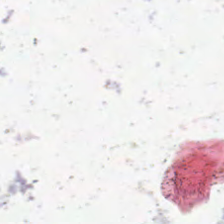Stain: H&E.
Classification: background.
